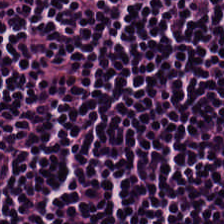Hematoxylin-and-eosin stained section. 224×224 px patch.
{"tissue_type": "lymphoid infiltrate"}
